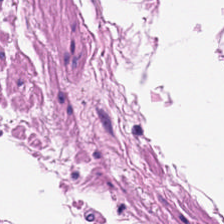Hematoxylin and eosin.
Q: What type of tissue is this?
A: This is muscularis.
